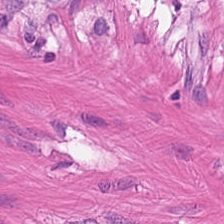Hematoxylin-and-eosin stained section. Q: What tissue type is shown here?
A: The field shows muscularis.
